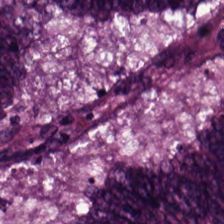WSI patch; 20× equivalent magnification; H&E-stained tissue section — Showing adenocarcinoma.
